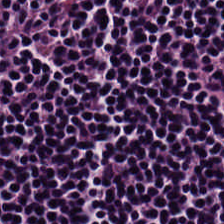20× equivalent magnification. H&E stain — Tissue class = lymphocytic infiltrate.
